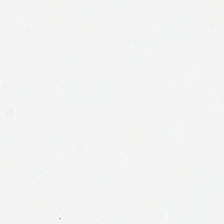H&E stain — {"content": "background"}
